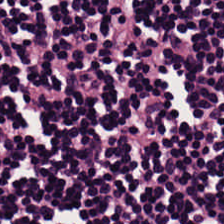Hematoxylin-and-eosin stained section.
Tissue type: lymphocyte aggregate.
